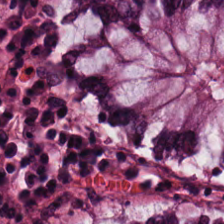224×224 px tile; H&E-stained tissue section; brightfield. {"tissue_type": "non-neoplastic colon mucosa"}
